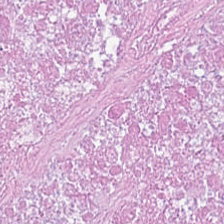Brightfield · hematoxylin and eosin · FFPE.
This field is cellular debris.
